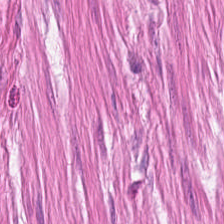0.5 microns per pixel. H&E stain. Classification = smooth-muscle tissue.
